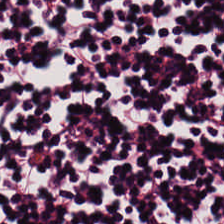H&E. 224×224 px patch. 20× equivalent magnification — Q: What type of tissue is this?
A: The field shows lymphocytic infiltrate.
